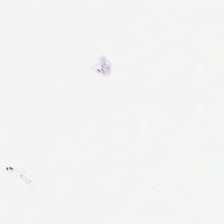H&E. Content = background.
